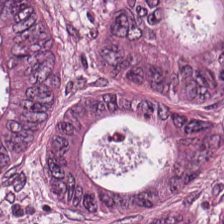224×224 pixel tile; H&E.
Q: What tissue is shown?
A: This is colorectal adenocarcinoma.
